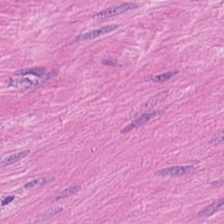Hematoxylin and eosin — {"tissue_type": "muscularis"}
